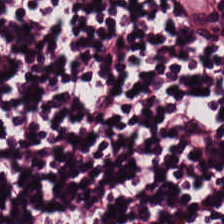H&E-stained section; the field shows lymphoid infiltrate.
